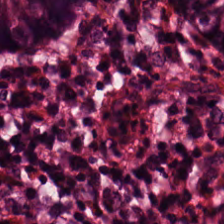WSI patch. H&E-stained tissue section — Predominant tissue — normal colonic mucosa.
